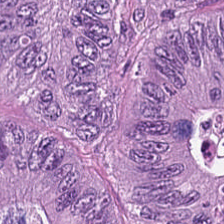Q: What is shown in this field?
A: This is colorectal adenocarcinoma.
